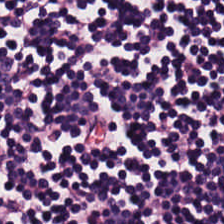Q: What type of tissue is this?
A: This is lymphocyte aggregate.
